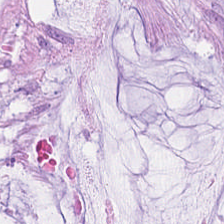Hematoxylin-and-eosin stained section.
The predominant tissue is extracellular mucin.
